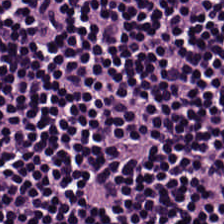Stain: hematoxylin and eosin.
Tissue class: lymphocytic infiltrate.
